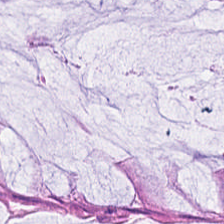Predominant tissue: normal colon mucosa.
